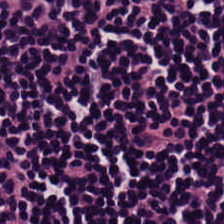Showing lymphoid infiltrate.
